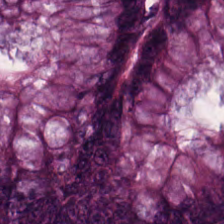Stain: H&E stain.
Preparation: formalin-fixed paraffin-embedded section.
Tissue: normal colonic mucosa.
